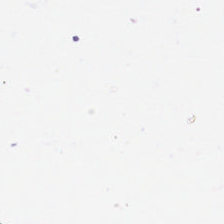Empty field — no tissue.
